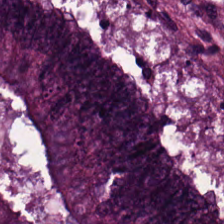This field is adenocarcinoma.
